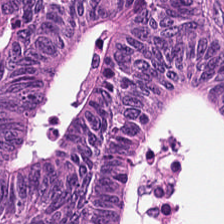Hematoxylin-and-eosin stained section.
Q: What tissue is shown?
A: Colorectal adenocarcinoma epithelium.
